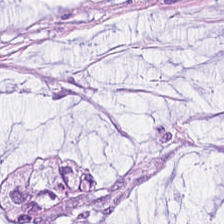Hematoxylin-and-eosin stained section. {"tissue_type": "extracellular mucin"}
